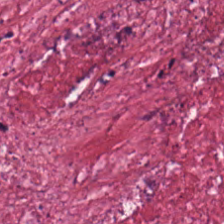Classification = desmoplastic stroma.
